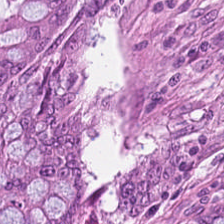0.5 µm per pixel · H&E.
Impression → adenocarcinoma.
